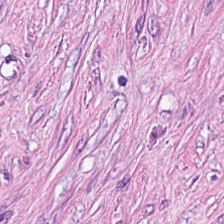Finding — tumor-associated stroma.
